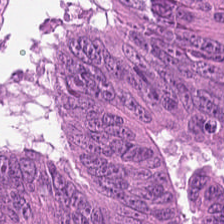Hematoxylin-and-eosin stained section. Predominant tissue: adenocarcinoma.
